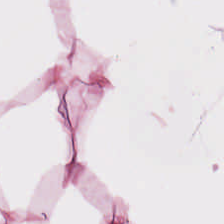0.5 microns per pixel · H&E — Tissue class — adipocytes.
